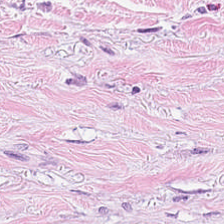0.5 µm/px · whole-slide-image patch · H&E-stained tissue section. {"tissue_type": "cancer-associated stroma"}
